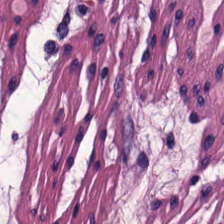Hematoxylin and eosin. Q: What is the predominant tissue type?
A: This is muscularis.
